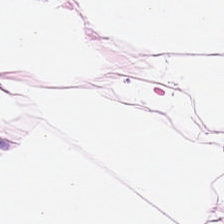Hematoxylin-and-eosin stained section; formalin-fixed paraffin-embedded section. Predominantly adipose.
